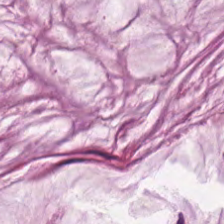0.5 µm/px. Whole-slide-image patch. Hematoxylin and eosin. Tissue type: mucus.
